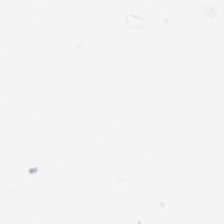H&E-stained tissue section. Brightfield — Histology → no tissue.
